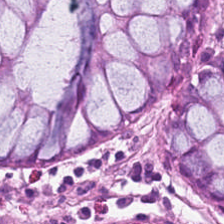20× equivalent magnification; hematoxylin and eosin.
The tissue here is non-neoplastic colon mucosa.
